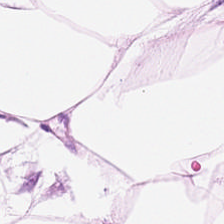H&E patch showing adipose.
